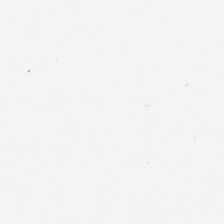H&E-stained tissue section.
Q: What is shown here?
A: Background.
